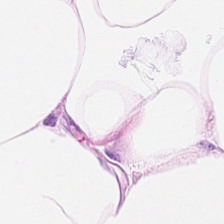Hematoxylin-and-eosin stained section · WSI patch — The tissue type is adipose tissue.
